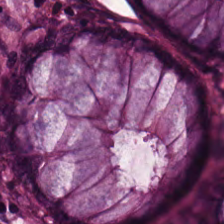H&E. Classification: non-neoplastic colon mucosa.
